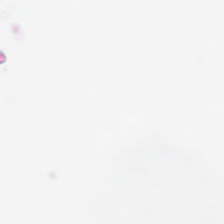Field content: background (no tissue).
